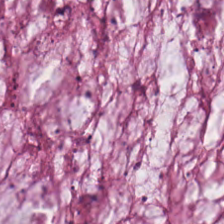H&E-stained tissue section — Impression — mucus.
